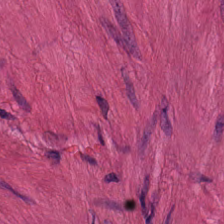H&E-stained tissue section · 20× equivalent magnification. The tissue here is muscularis.
